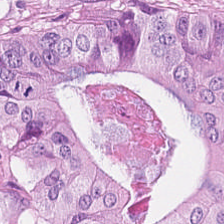H&E-stained tissue section. Predominant tissue = malignant epithelium.
